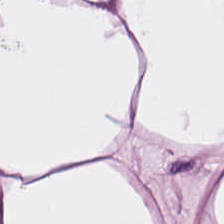Stain: hematoxylin and eosin.
Tissue type: adipocytes.
